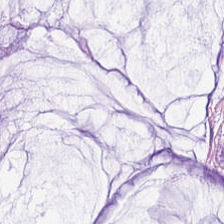Stain: H&E-stained tissue section.
Tissue type: mucin.
